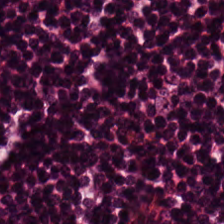FFPE · H&E-stained tissue section. Predominant tissue — lymphoid infiltrate.
